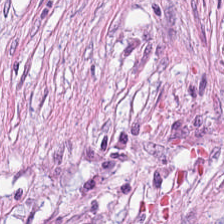{"tissue_type": "cancer-associated stroma"}
